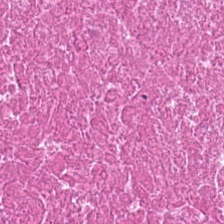Tissue class = cellular debris.
